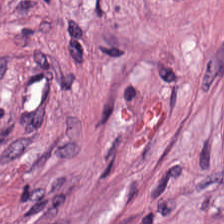Formalin-fixed paraffin-embedded section · hematoxylin and eosin — Q: What type of tissue is this?
A: It is tumor stroma.
